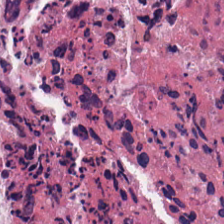Predominantly debris.
